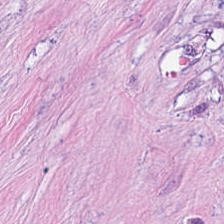H&E.
This field is tumor-associated stroma.
